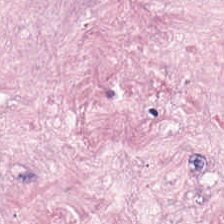H&E stain — Impression → tumor stroma.
